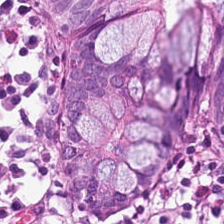Tissue class — benign colonic mucosa.
